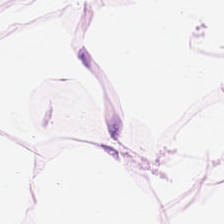Whole-slide-image patch · H&E · formalin-fixed paraffin-embedded section.
The predominant tissue is adipose.
